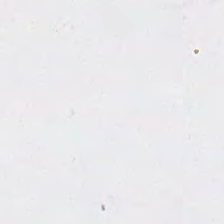Hematoxylin-and-eosin stained section.
Content = no tissue.
